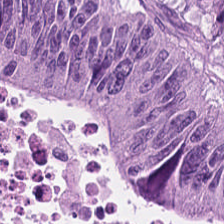H&E stain · 0.5 µm/px. Q: What is shown here?
A: It is tumor epithelium.
